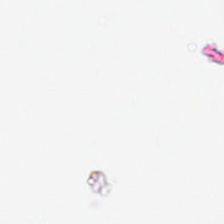Hematoxylin and eosin. The field content is empty background.
